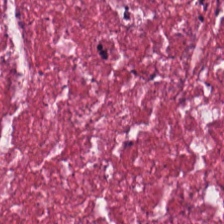FFPE · 0.5 µm per pixel · H&E stain. Q: What is the predominant tissue type?
A: The field shows cancer-associated stroma.
